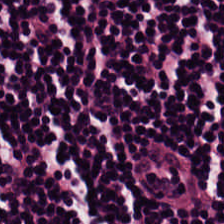This patch shows lymphocyte aggregate.
